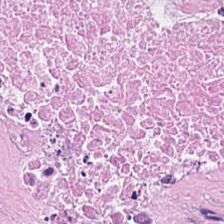H&E. Tissue type — necrotic debris.
